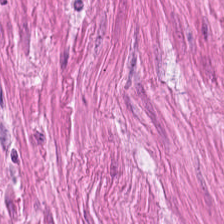H&E stain. This patch shows muscularis.
